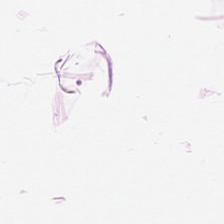H&E stain. Whole-slide-image patch. FFPE tissue section. Predominantly adipocytes.
